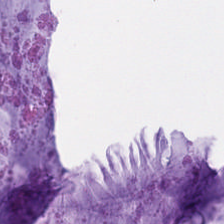H&E stain. Impression — mucin.
